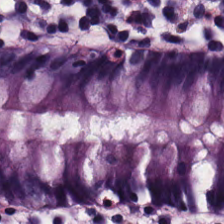FFPE · hematoxylin-and-eosin stained section — Tissue class = benign colonic mucosa.
